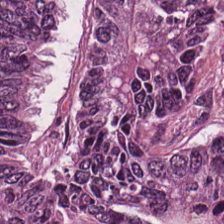Hematoxylin-and-eosin stained section — This field is tumor epithelium.
